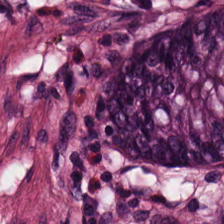Finding — normal colon mucosa.
